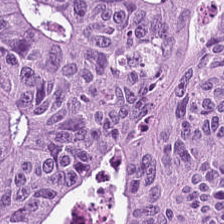H&E · 20× equivalent magnification.
Finding — colorectal adenocarcinoma epithelium.
